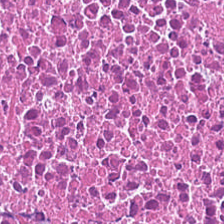Hematoxylin-and-eosin stained section · brightfield · 224×224 pixel tile.
Debris.
